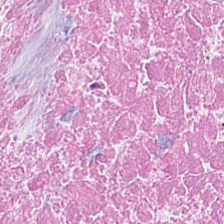Hematoxylin-and-eosin stained section. FFPE tissue section — The predominant tissue is cellular debris.
